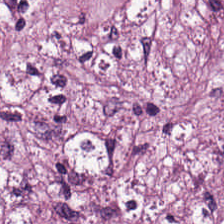Formalin-fixed paraffin-embedded section · H&E.
Showing cancer-associated stroma.
